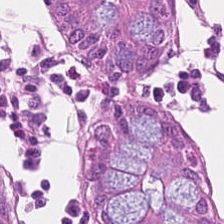H&E stain.
Histology → normal colon mucosa.
